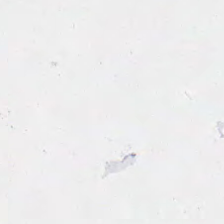Hematoxylin and eosin.
This field is background (no tissue).
